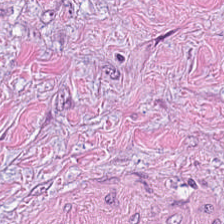The tissue class is desmoplastic stroma.
